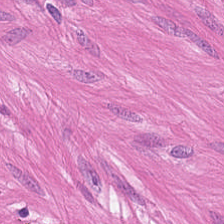The classification is smooth muscle.
